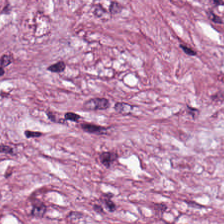H&E. 0.5 microns per pixel.
This field is desmoplastic stroma.
